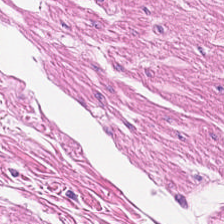Hematoxylin-and-eosin stained section. This patch shows smooth-muscle tissue.
